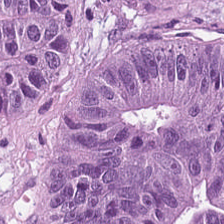H&E-stained tissue section · whole-slide-image patch — This field is colorectal adenocarcinoma epithelium.
